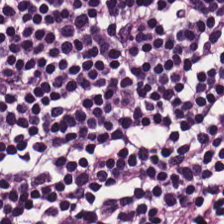Brightfield · H&E-stained tissue section — Predominantly lymphocytes.
